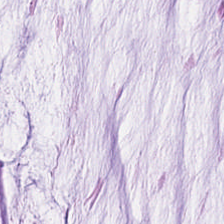224×224 px tile; H&E stain. The tissue class is mucus.
